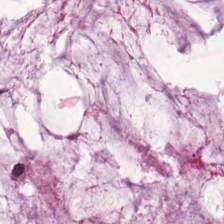H&E-stained tissue section — Tissue class = extracellular mucin.
